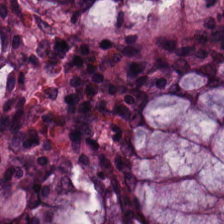H&E. This patch shows normal colon mucosa.
